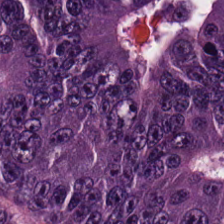The tissue here is colorectal adenocarcinoma.
